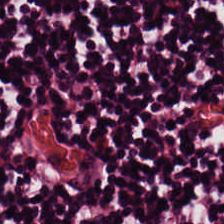Stain: H&E-stained tissue section.
Predominant tissue: lymphocytic infiltrate.
